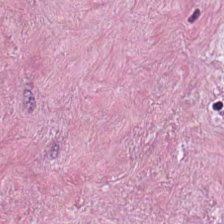FFPE. Hematoxylin-and-eosin stained section. 0.5 microns per pixel. Showing tumor-associated stroma.
